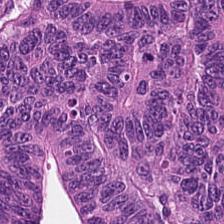Tissue class: adenocarcinoma.
